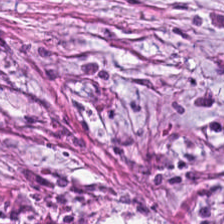H&E stain. The tissue type is tumor-associated stroma.
